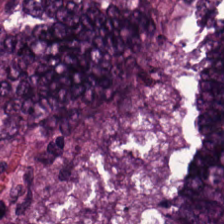Classification — adenocarcinoma.
